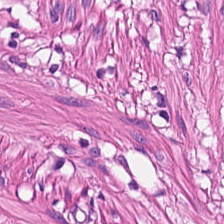Stain: H&E stain.
Acquisition: brightfield microscopy.
Predominant tissue: smooth muscle.
